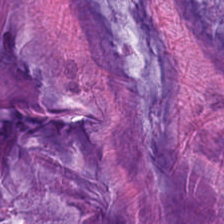224×224 px tile. H&E-stained tissue section. FFPE tissue section.
Q: What type of tissue is this?
A: This is mucus.
